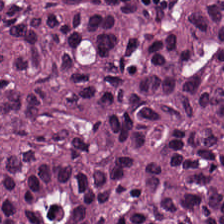224×224 pixel tile · brightfield · H&E-stained tissue section.
Q: What is shown here?
A: Malignant epithelium.
